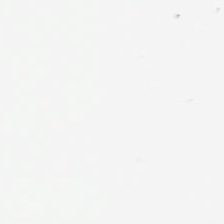H&E-stained tissue section — Empty field — empty background.
